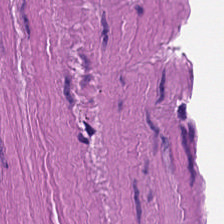H&E stain. Tissue type — muscularis.
